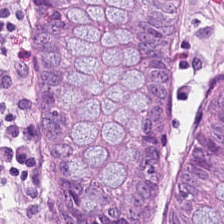FFPE. Hematoxylin and eosin — {"tissue_type": "normal colon mucosa"}
